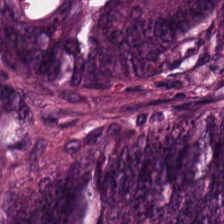H&E stain. This field is tumor epithelium.
